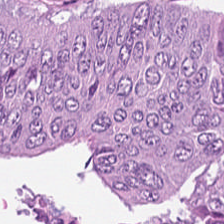Stain: H&E-stained tissue section.
Tissue type: colorectal adenocarcinoma epithelium.
